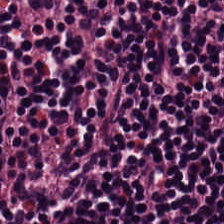Lymphocytic infiltrate.
